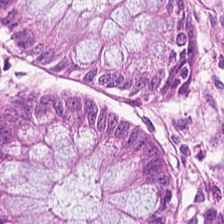Stain: H&E.
Tissue: benign colonic mucosa.
